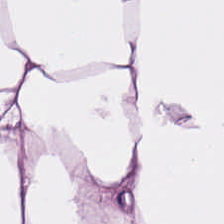Stain: H&E-stained tissue section.
Resolution: 0.5 microns per pixel.
Predominant tissue: fat tissue.
